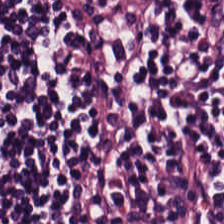H&E. {"tissue_type": "lymphocytic infiltrate"}
